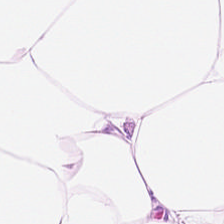H&E stain. The predominant tissue is adipose.
